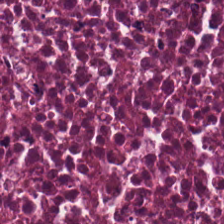Predominant tissue: cellular debris.
